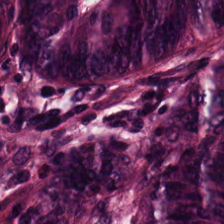Hematoxylin and eosin. Tissue class — tumor epithelium.
